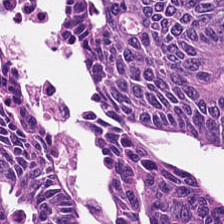{"tissue_type": "adenocarcinoma"}
